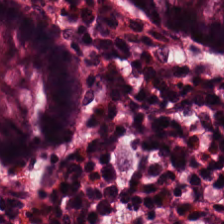H&E-stained tissue section. Tissue — non-neoplastic colon mucosa.
